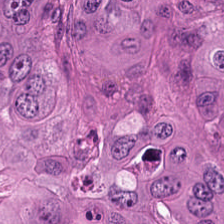Q: Classify this patch.
A: This is malignant epithelium.
